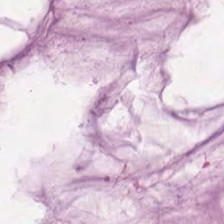H&E; 224×224 px patch.
Extracellular mucin.
